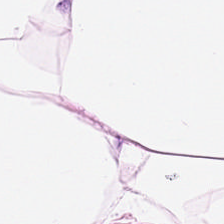H&E-stained tissue section. This field is adipose.
